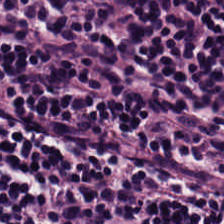H&E-stained tissue section · FFPE. {"tissue_type": "lymphoid infiltrate"}
